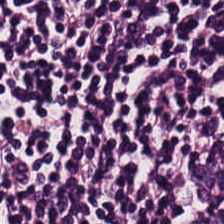Hematoxylin-and-eosin stained section.
Finding → lymphocyte aggregate.
